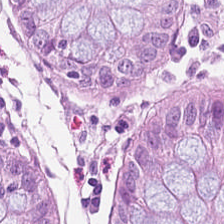The predominant tissue is non-neoplastic colon mucosa.
